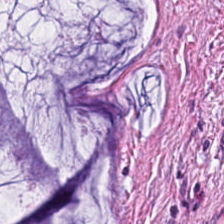H&E.
The classification is mucus.
